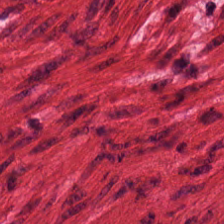Formalin-fixed paraffin-embedded section · 224×224 px tile · H&E-stained tissue section. The tissue here is muscularis.
